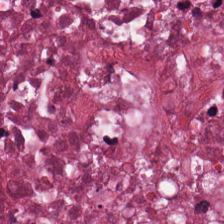H&E — Tissue type = cellular debris.
